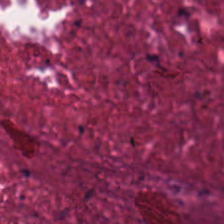Hematoxylin and eosin — Cellular debris.
